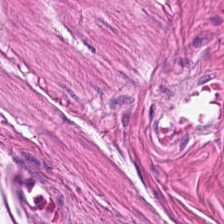H&E stain. Brightfield microscopy — Tissue class: smooth-muscle tissue.
